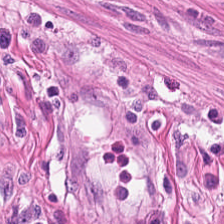H&E.
Impression — muscularis.
